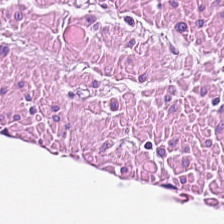Stain: H&E stain.
Tissue class: muscularis.
